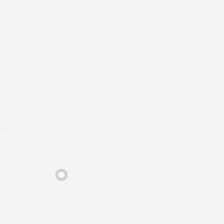WSI patch; H&E-stained tissue section.
Q: What does this patch show?
A: The field shows no tissue.
